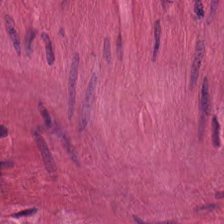Hematoxylin and eosin; 224×224 px patch; FFPE. The predominant tissue is muscularis.
